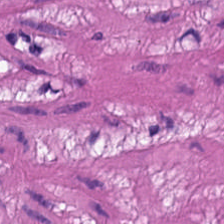Hematoxylin-and-eosin stained section · whole-slide-image patch. Predominant tissue = smooth muscle.
